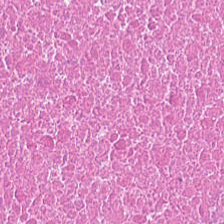20× equivalent magnification. Hematoxylin and eosin. Q: What does this patch show?
A: This is necrotic debris.
